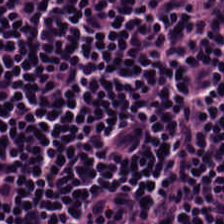Hematoxylin-and-eosin stained section — The predominant tissue is lymphoid infiltrate.
